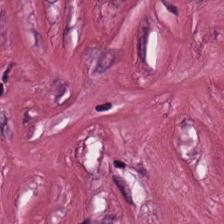H&E stain — Q: What type of tissue is this?
A: This is tumor stroma.
